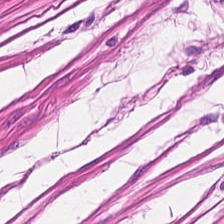Finding — smooth muscle.
